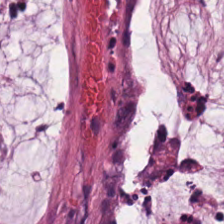H&E stain. Whole-slide-image patch — The predominant tissue is extracellular mucin.
